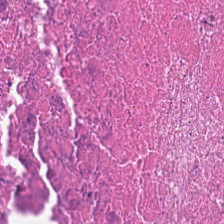Q: What tissue is shown?
A: Debris.
